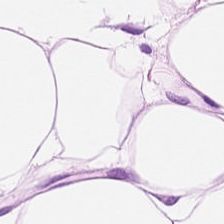224×224 pixel tile · 0.5 µm/px · H&E-stained tissue section.
Impression → adipose tissue.
